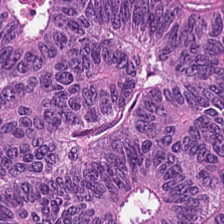Stain: hematoxylin-and-eosin stained section.
Classification: colorectal adenocarcinoma.
